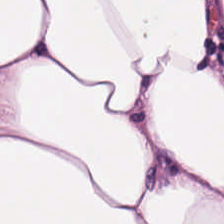WSI patch. H&E. 224×224 px tile.
Q: Classify this patch.
A: Adipose tissue.
